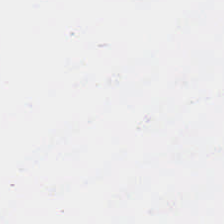Hematoxylin and eosin.
Empty field — background.
